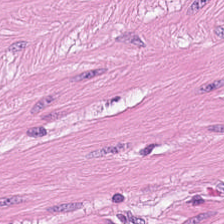WSI patch; 224×224 px patch; hematoxylin-and-eosin stained section.
The tissue here is muscularis.
